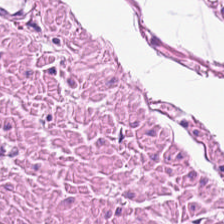H&E.
Showing smooth-muscle tissue.
